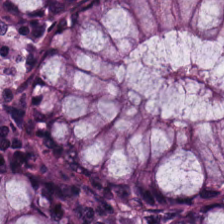Tissue: benign colonic mucosa.
